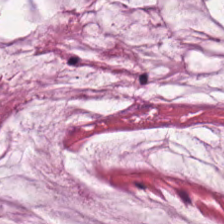FFPE. 224×224 px patch. H&E stain — Q: What is the predominant tissue type?
A: This is mucin.
